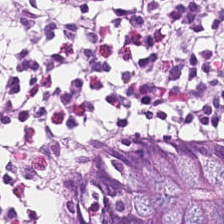224×224 px patch. Hematoxylin and eosin.
Impression — normal colon mucosa.
